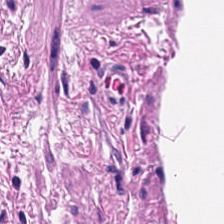Tissue: muscularis.
